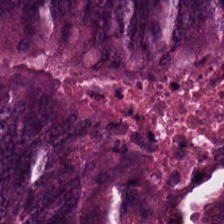H&E-stained tissue section · 0.5 µm/px. Q: Identify the tissue.
A: The field shows malignant epithelium.
